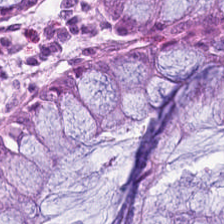Hematoxylin and eosin. FFPE tissue section.
The predominant tissue is normal colon mucosa.
